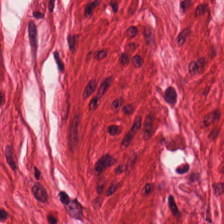Hematoxylin-and-eosin stained section — This patch shows smooth muscle.
